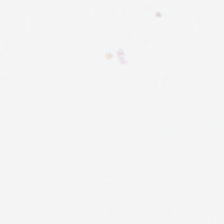Hematoxylin-and-eosin stained section; whole-slide-image patch. Impression — background (no tissue).
